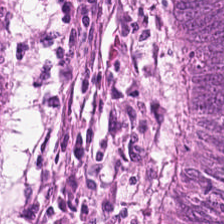H&E. 224×224 px patch. Formalin-fixed paraffin-embedded section — Q: Identify the tissue.
A: It is adenocarcinoma.
